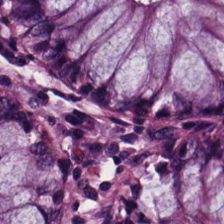Q: Classify this patch.
A: The field shows normal colon mucosa.
